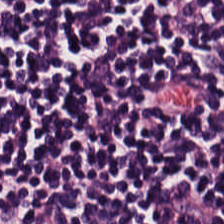Stain: hematoxylin and eosin.
Tissue type: lymphoid infiltrate.
